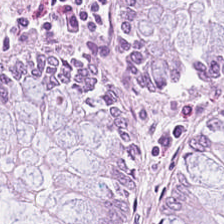H&E — The tissue here is normal colon mucosa.
